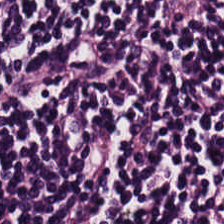H&E stain.
Histology — lymphocytes.
